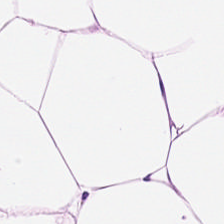H&E stain — This field is adipocytes.
